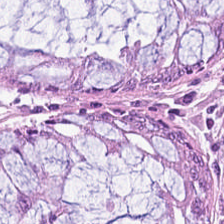Hematoxylin-and-eosin stained section.
The tissue here is benign colonic mucosa.
